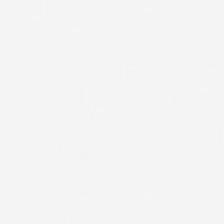Stain: H&E.
Resolution: 0.5 µm/px.
Preparation: formalin-fixed paraffin-embedded section.
Field content: background.
